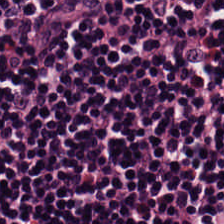Predominantly lymphocytes.
